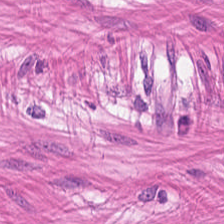Q: Identify the tissue.
A: This is smooth muscle.
